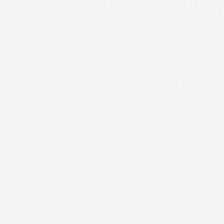20× equivalent magnification; H&E. Content — background.
